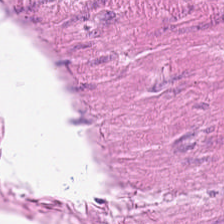Brightfield. 0.5 µm/px. Hematoxylin-and-eosin stained section. Showing smooth-muscle tissue.
